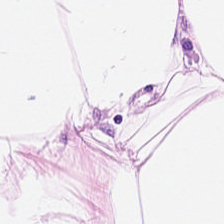Tissue: adipocytes.
